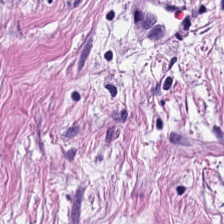Hematoxylin-and-eosin stained section — Predominantly cancer-associated stroma.
